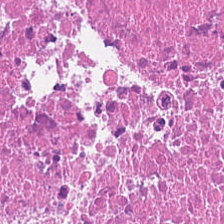H&E stain.
The tissue is necrotic debris.
